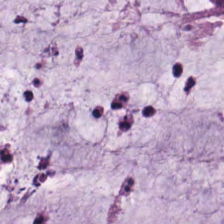Predominantly mucin.
